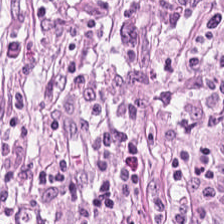H&E stain. The predominant tissue is tumor stroma.
